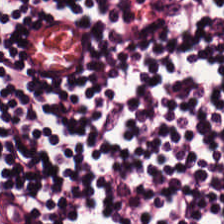Stain: H&E-stained tissue section.
Predominant tissue: lymphocytes.
